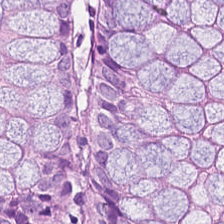224×224 px tile · H&E-stained tissue section · FFPE — Finding — non-neoplastic colon mucosa.
